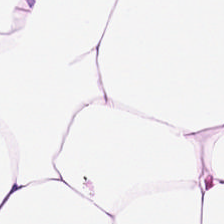Whole-slide-image patch; H&E. This patch shows adipose tissue.
